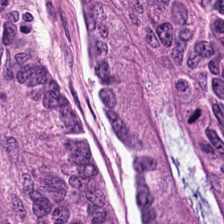Hematoxylin-and-eosin stained section. Finding — tumor epithelium.
